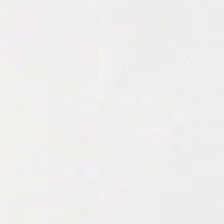H&E-stained tissue section. Q: Classify this patch.
A: It is empty background.
